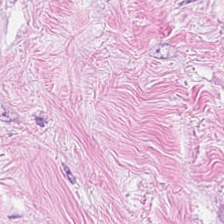H&E stain — Histology → tumor-associated stroma.
